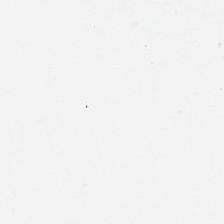Hematoxylin and eosin — No tissue present; background only.
